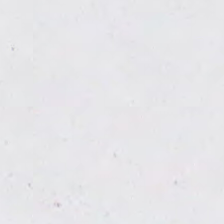Stain: H&E.
Tile size: 224×224 px tile.
Resolution: 0.5 µm/px.
Classification: no tissue.
